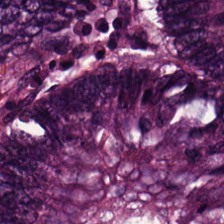H&E stain.
Classification = colorectal adenocarcinoma epithelium.
